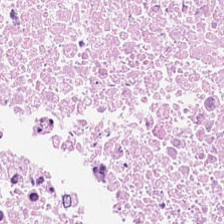Hematoxylin and eosin. 224×224 px patch. Whole-slide-image patch.
{"tissue_type": "necrotic debris"}
